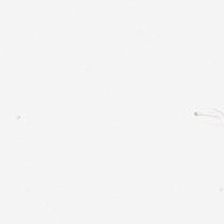Q: What is shown here?
A: No tissue.
